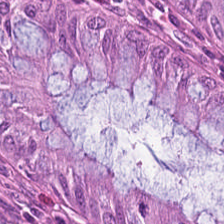FFPE tissue section. H&E-stained tissue section.
Tissue — normal colonic mucosa.
